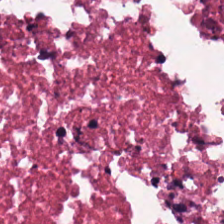H&E-stained tissue section — The predominant tissue is debris.
